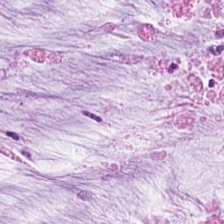Q: Identify the tissue.
A: The field shows mucin.
